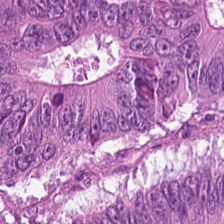H&E stain. The tissue type is adenocarcinoma.
